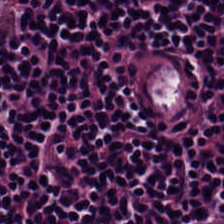The predominant tissue is lymphocyte aggregate.
